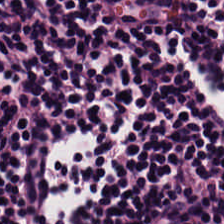H&E stain. 224×224 pixel tile. 0.5 µm/px — Classification — lymphocytes.
